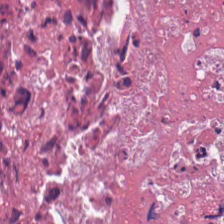Tissue class — necrotic debris.
